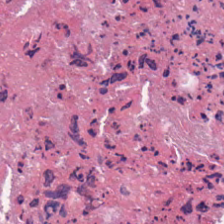Hematoxylin and eosin. Tissue — cellular debris.
